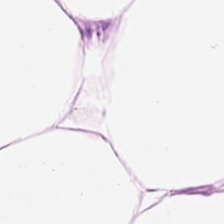Hematoxylin and eosin — Adipose tissue.
